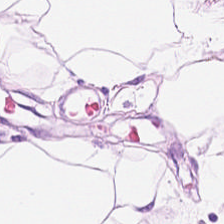Stain: H&E-stained tissue section.
Tissue: fat tissue.
